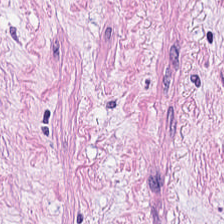H&E-stained tissue section. The tissue here is cancer-associated stroma.
